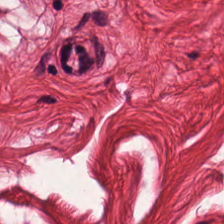The classification is smooth-muscle tissue.
